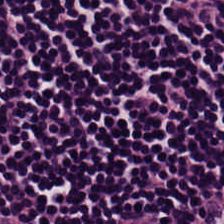Stain: H&E stain.
Tissue type: lymphocytes.
